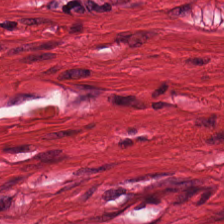Q: What is the predominant tissue type?
A: Smooth muscle.
